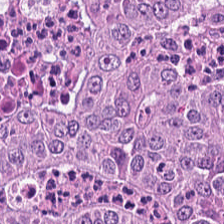H&E stain. Predominantly tumor epithelium.
